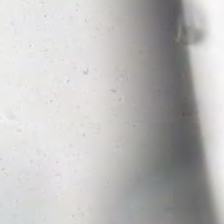H&E.
Empty field — empty background.
